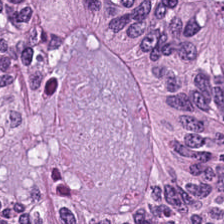Hematoxylin and eosin. Classification — malignant epithelium.
